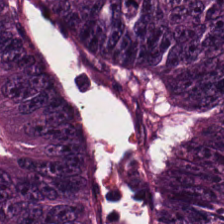H&E; whole-slide-image patch.
The predominant tissue is colorectal adenocarcinoma.
